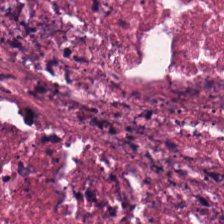Stain: hematoxylin-and-eosin stained section.
Tile size: 224×224 pixel tile.
Acquisition: brightfield.
Classification: necrotic debris.
